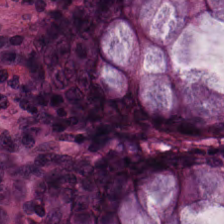H&E — Showing normal colonic mucosa.
